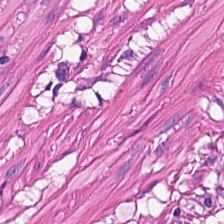Impression → smooth-muscle tissue.
